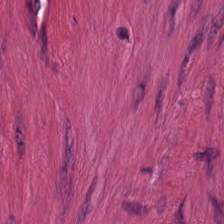Histology — smooth-muscle tissue.
